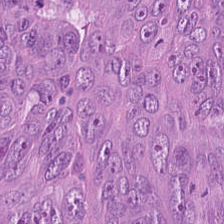H&E; 20× equivalent magnification — Q: What tissue type is shown here?
A: The field shows tumor epithelium.
